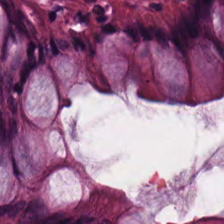Histology — benign colonic mucosa.
